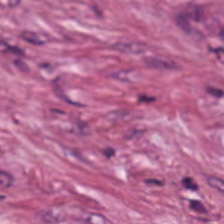H&E stain; 20× equivalent magnification.
The predominant tissue is tumor stroma.
